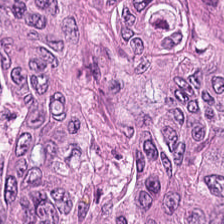H&E-stained tissue section.
The predominant tissue is colorectal adenocarcinoma.
